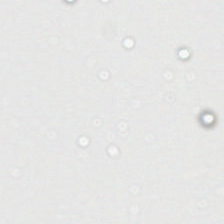H&E stain.
Q: Classify this patch.
A: Background (no tissue).
